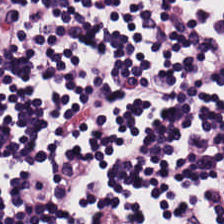Hematoxylin-and-eosin stained section. Tissue class = lymphoid infiltrate.
